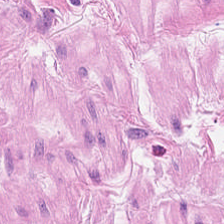This patch shows muscularis.
